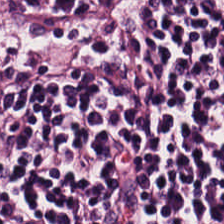224×224 px patch. Hematoxylin-and-eosin stained section — This patch shows lymphocytes.
